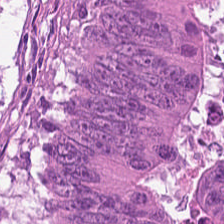Brightfield microscopy · H&E · 224×224 px patch. The classification is tumor epithelium.
